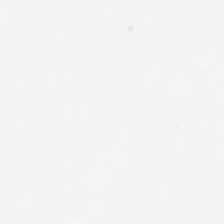Classification = background.
